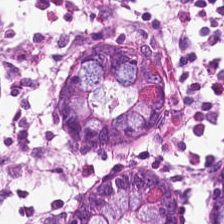Finding — normal colonic mucosa.
